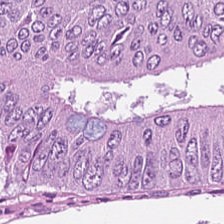WSI patch · FFPE · H&E stain.
This field is colorectal adenocarcinoma.
